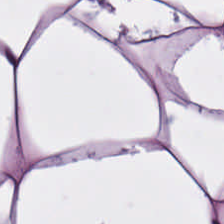H&E-stained tissue section.
Histology → adipose tissue.
